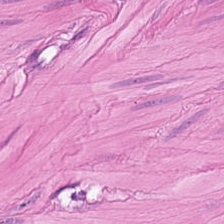H&E-stained tissue section. 20× equivalent magnification. Brightfield.
Predominantly smooth muscle.
